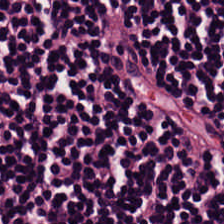Q: What is shown in this field?
A: Lymphocytic infiltrate.
